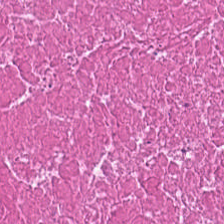Stain: H&E-stained tissue section.
Tissue type: debris.
